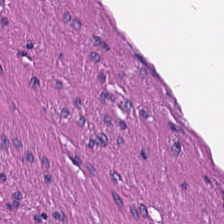H&E — Predominant tissue: muscularis.
